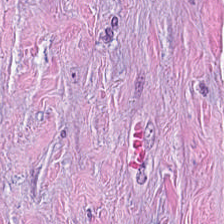Formalin-fixed paraffin-embedded section. Hematoxylin and eosin. Whole-slide-image patch — This field is tumor-associated stroma.
